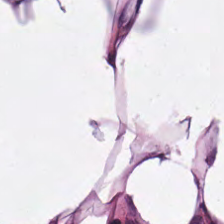Hematoxylin and eosin. The tissue is adipose tissue.
